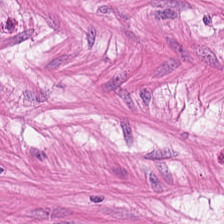Q: What does this patch show?
A: Smooth-muscle tissue.
